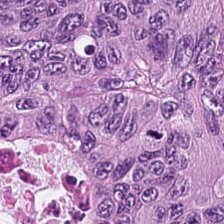Hematoxylin-and-eosin stained section · 0.5 µm per pixel. Q: What is the predominant tissue type?
A: Colorectal adenocarcinoma epithelium.
